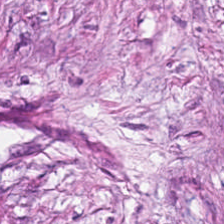H&E stain; brightfield microscopy; 20× equivalent magnification — Q: What type of tissue is this?
A: Cancer-associated stroma.
